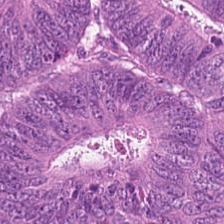Hematoxylin and eosin.
Q: What does this patch show?
A: Adenocarcinoma.
